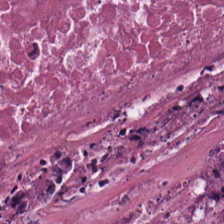Tissue — necrotic debris.
